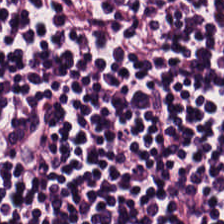Stain: H&E.
Tissue: lymphocytes.
